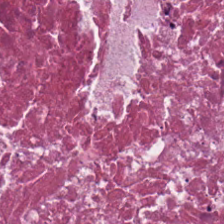H&E.
The classification is cellular debris.
